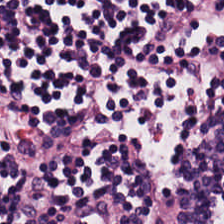H&E stain · 0.5 microns per pixel — The tissue type is lymphocytes.
